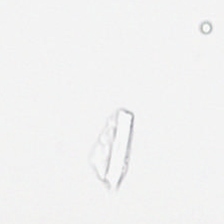224×224 px tile. H&E. Background (no tissue).
